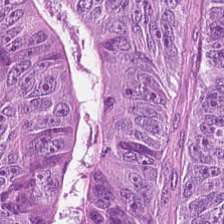H&E · whole-slide-image patch — Tissue class: colorectal adenocarcinoma epithelium.
